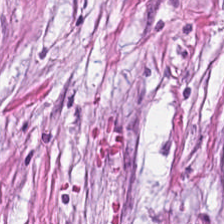H&E stain.
Tissue type = tumor-associated stroma.
